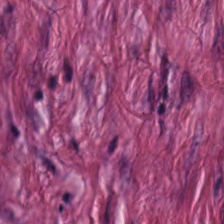0.5 µm per pixel; hematoxylin-and-eosin stained section — The tissue type is tumor stroma.
